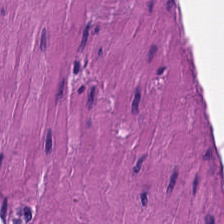H&E stain · brightfield.
Tissue type — smooth-muscle tissue.
